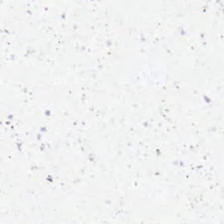{"content": "background (no tissue)"}
